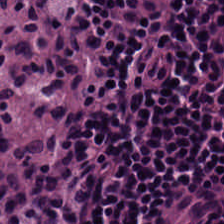Hematoxylin-and-eosin stained section.
Q: Identify the tissue.
A: The field shows lymphocytic infiltrate.
